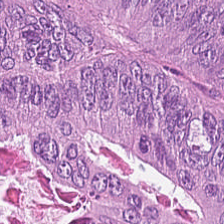Predominantly malignant epithelium.
